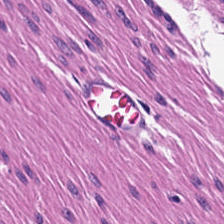Stain: hematoxylin and eosin.
Preparation: FFPE tissue section.
Resolution: 0.5 µm per pixel.
Tissue type: muscularis.
